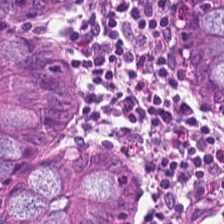0.5 microns per pixel; 224×224 px tile; H&E. Q: What is shown in this field?
A: The field shows non-neoplastic colon mucosa.
